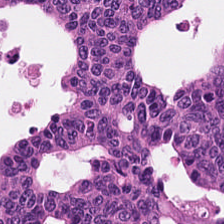H&E stain.
Tissue type: colorectal adenocarcinoma epithelium.
